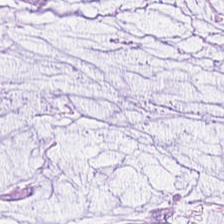Stain: hematoxylin-and-eosin stained section.
Tissue: mucin.
